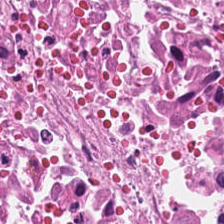The classification is cellular debris.
